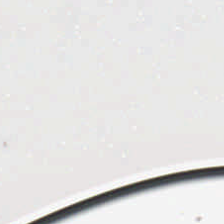H&E stain — Q: What does this patch show?
A: It is background.
